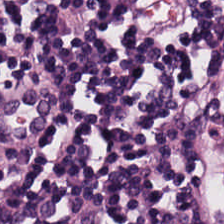H&E.
Q: What does this patch show?
A: Lymphoid infiltrate.
